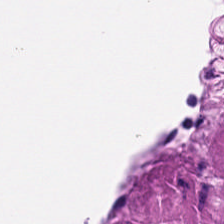Hematoxylin and eosin; 0.5 microns per pixel — Tissue class = muscularis.
